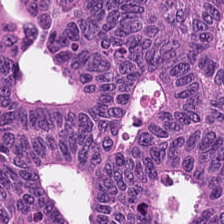Brightfield microscopy; H&E-stained tissue section — Tissue type — malignant epithelium.
